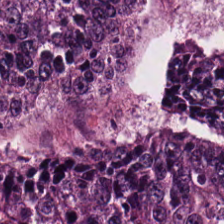H&E-stained tissue section. 224×224 pixel tile. 0.5 µm per pixel.
The predominant tissue is colorectal adenocarcinoma epithelium.
